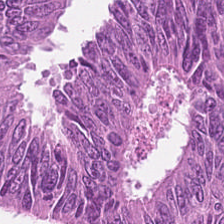Stain: H&E stain.
Predominant tissue: colorectal adenocarcinoma epithelium.
